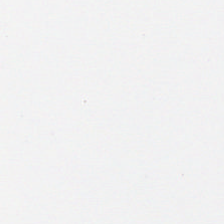H&E stain — Background — no tissue in this field.
